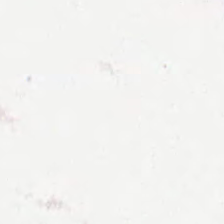Whole-slide-image patch. H&E. Field content — background (no tissue).
